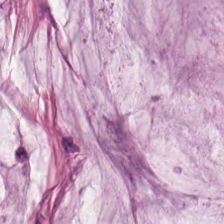Hematoxylin-and-eosin stained section. 0.5 µm/px — Histology → mucin.
